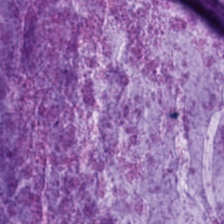20× equivalent magnification; H&E stain. Mucin.
